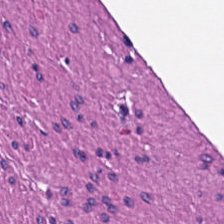Predominantly muscularis.
